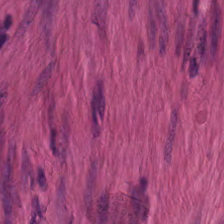H&E stain — Classification — smooth-muscle tissue.
